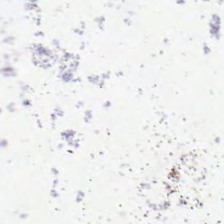0.5 µm/px; H&E-stained tissue section; brightfield microscopy.
This field is background (no tissue).
